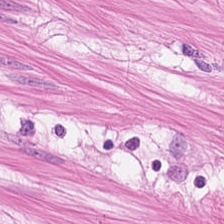224×224 px tile. H&E. The tissue class is smooth-muscle tissue.
